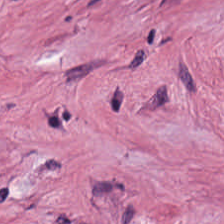Formalin-fixed paraffin-embedded section · hematoxylin-and-eosin stained section.
This patch shows tumor stroma.
